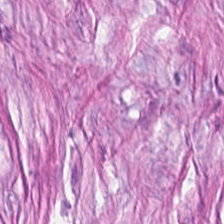H&E-stained tissue section. This field is desmoplastic stroma.
